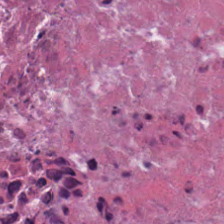224×224 px tile. H&E. Showing necrotic debris.
